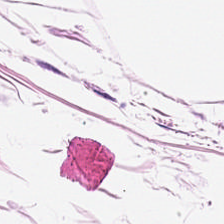{"tissue_type": "adipocytes"}
